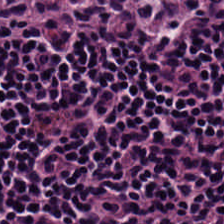H&E.
The predominant tissue is lymphocytes.
